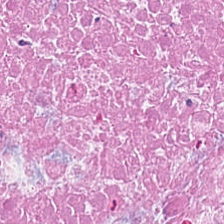224×224 pixel tile; H&E-stained tissue section; FFPE — Q: What tissue is shown?
A: This is debris.
